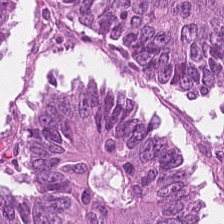{"tissue_type": "colorectal adenocarcinoma epithelium"}
